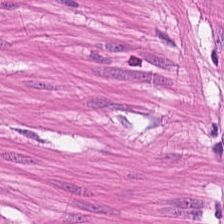The tissue class is muscularis.
